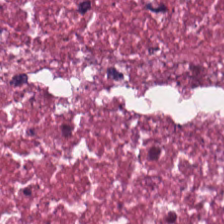{"tissue_type": "necrotic debris"}
